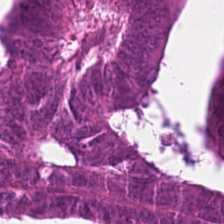Stain: hematoxylin and eosin.
Tissue class: adenocarcinoma.
